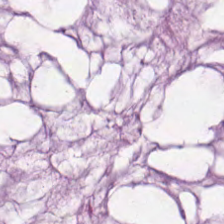Brightfield microscopy; 0.5 µm per pixel; H&E stain.
The tissue here is mucus.
